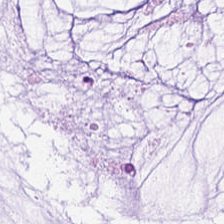This field is mucin.
